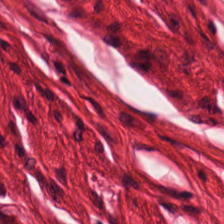Whole-slide-image patch · 224×224 pixel tile · H&E.
The predominant tissue is muscularis.
